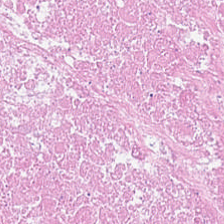{"tissue_type": "debris"}
